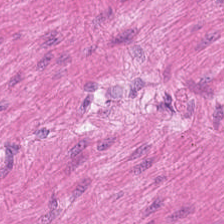H&E-stained tissue section — Tissue type: smooth-muscle tissue.
